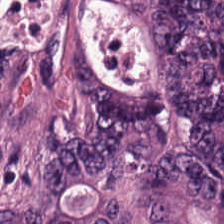H&E-stained tissue section — Classification: colorectal adenocarcinoma.
